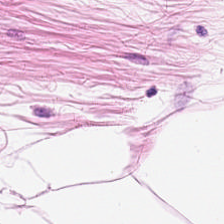Impression — adipose.
